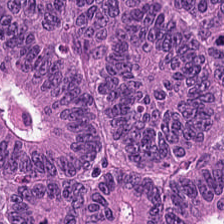H&E stain.
{"tissue_type": "tumor epithelium"}
